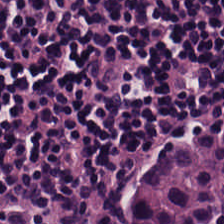H&E-stained tissue section — Predominant tissue: lymphocytes.
